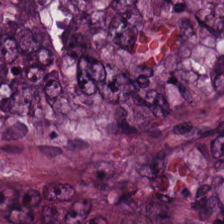H&E — Adenocarcinoma.
